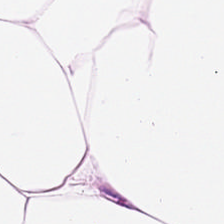Hematoxylin and eosin — The tissue here is adipose.
